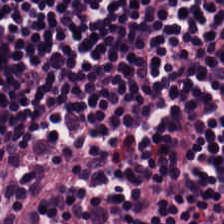{"tissue_type": "lymphocytes"}
